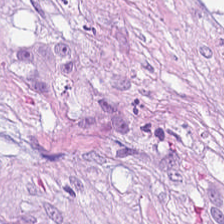Brightfield microscopy · H&E-stained tissue section · 0.5 µm/px.
Tissue — mucus.
